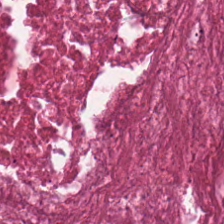H&E-stained tissue section · 0.5 µm per pixel. Showing debris.
